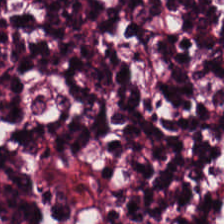H&E-stained tissue section. Tissue type: lymphocyte aggregate.
